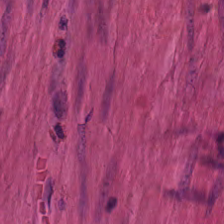The predominant tissue is muscularis.
